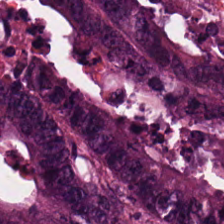Predominant tissue — malignant epithelium.
